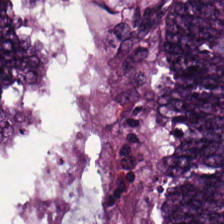Predominantly tumor epithelium.
